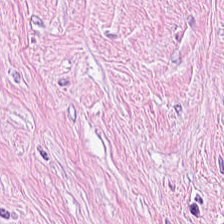20× equivalent magnification. Hematoxylin and eosin.
Predominantly cancer-associated stroma.
